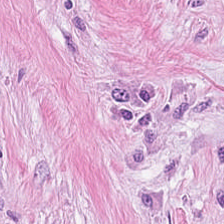Hematoxylin and eosin. FFPE — Predominantly desmoplastic stroma.
